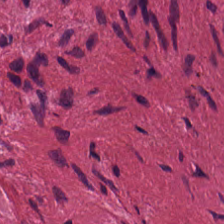H&E — Tissue class = tumor-associated stroma.
